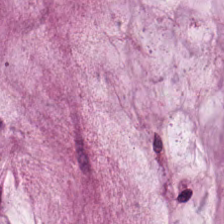Extracellular mucin.
